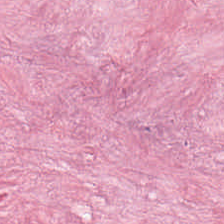Hematoxylin and eosin — Predominant tissue: desmoplastic stroma.
